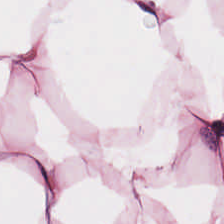Q: What is shown here?
A: It is adipose.
